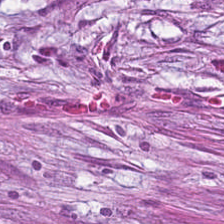Hematoxylin and eosin — Q: What is shown in this field?
A: This is cancer-associated stroma.
